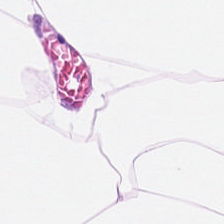H&E.
Q: What is the predominant tissue type?
A: It is fat tissue.
